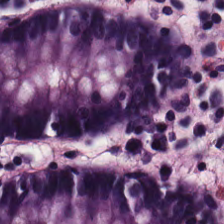Finding — normal colonic mucosa.
